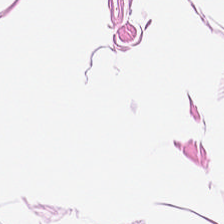Impression — fat tissue.
